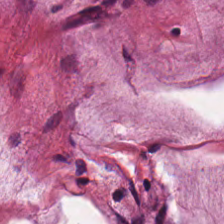Hematoxylin-and-eosin stained section; WSI patch; 224×224 px tile. Finding — mucus.
